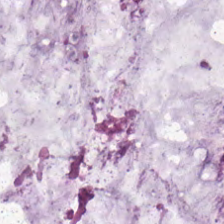Hematoxylin-and-eosin stained section. 0.5 µm per pixel. The predominant tissue is mucus.
